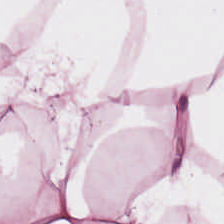H&E-stained tissue section; 0.5 microns per pixel — This patch shows adipose.
